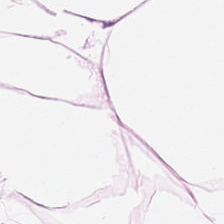Hematoxylin and eosin · 0.5 µm/px.
Predominantly fat tissue.
